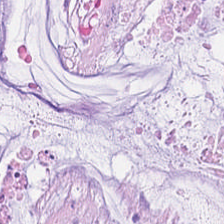Showing mucin.
